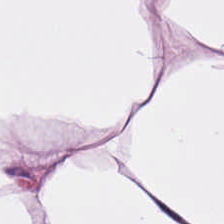H&E-stained tissue section.
The predominant tissue is adipose.
